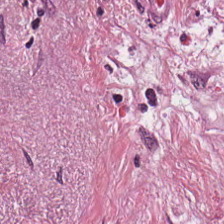0.5 µm/px · H&E. The tissue is desmoplastic stroma.
